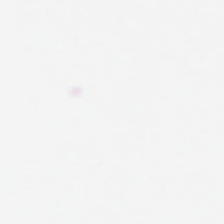This patch shows empty background.
